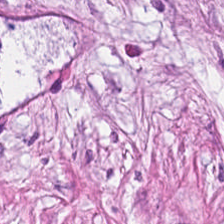Tissue = tumor-associated stroma.
